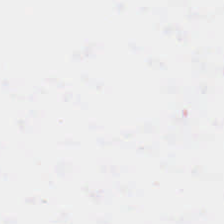Hematoxylin and eosin.
Background — no tissue in this field.
